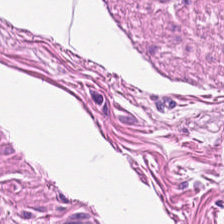H&E — Tissue — muscularis.
